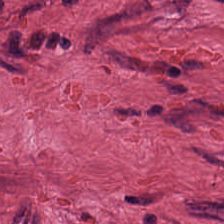Stain: H&E.
Acquisition: whole-slide-image patch.
Preparation: FFPE tissue section.
Tissue type: cancer-associated stroma.
